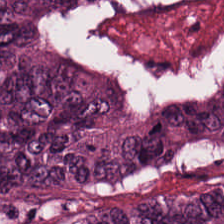This patch shows colorectal adenocarcinoma epithelium.
